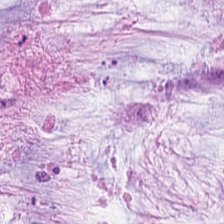H&E. Impression — mucus.
